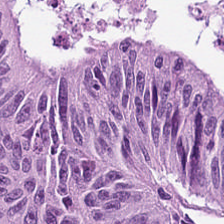Tissue type = malignant epithelium.
